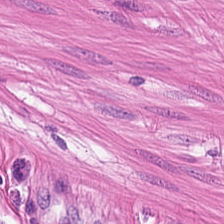H&E-stained section; the field shows smooth muscle.
